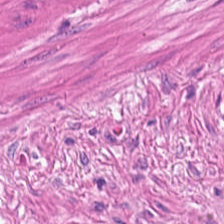Hematoxylin-and-eosin stained section.
Predominantly muscularis.
